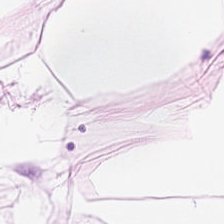FFPE · hematoxylin and eosin.
The tissue here is adipose.
